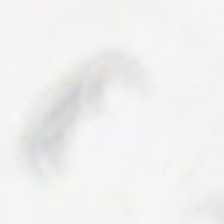H&E-stained tissue section. Finding → background (no tissue).
